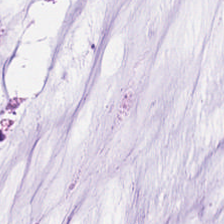H&E-stained tissue section — Q: What is the predominant tissue type?
A: The field shows mucin.
